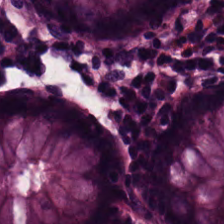WSI patch; hematoxylin-and-eosin stained section — Impression — normal colon mucosa.
